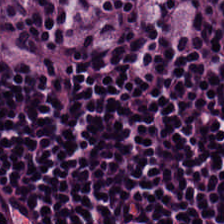20× equivalent magnification · whole-slide-image patch · H&E stain.
Tissue = lymphocytic infiltrate.
